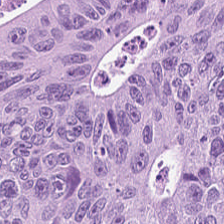H&E. Q: Identify the tissue.
A: This is malignant epithelium.
